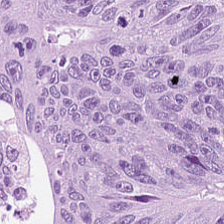H&E stain · whole-slide-image patch.
The predominant tissue is colorectal adenocarcinoma epithelium.
